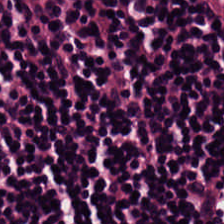H&E-stained tissue section.
The tissue here is lymphocytic infiltrate.
